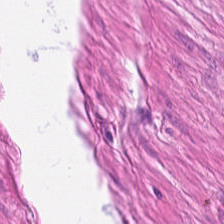Stain: hematoxylin-and-eosin stained section.
Classification: smooth muscle.
